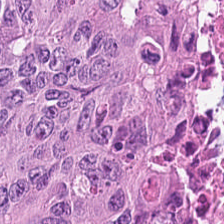H&E-stained tissue section · FFPE — Predominant tissue — adenocarcinoma.
